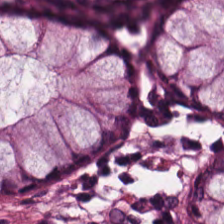This field is normal colon mucosa.
